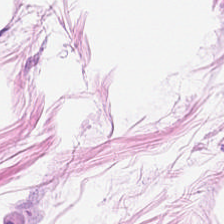Hematoxylin-and-eosin stained section; 224×224 px patch; brightfield microscopy — Adipose tissue.
